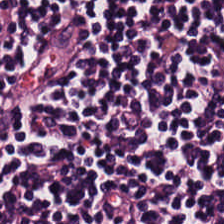Hematoxylin and eosin. The predominant tissue is lymphocyte aggregate.
